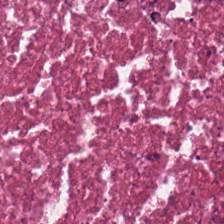Hematoxylin-and-eosin stained section — The tissue here is necrotic debris.
